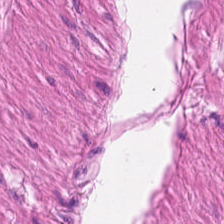The classification is smooth muscle.
